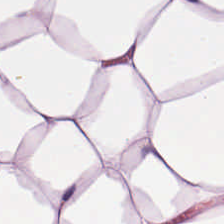Hematoxylin-and-eosin stained section · brightfield · 224×224 px tile — The tissue type is adipose.
